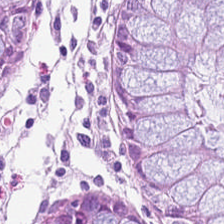Stain: H&E-stained tissue section.
Tissue class: normal colonic mucosa.
